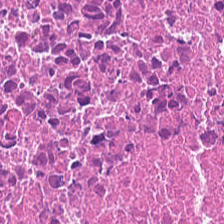Stain: hematoxylin-and-eosin stained section.
Tissue type: necrotic debris.
